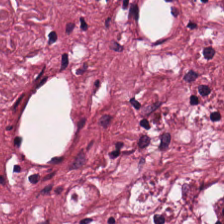Finding → tumor-associated stroma.
